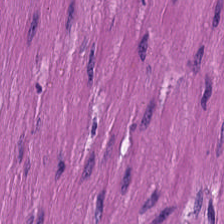Hematoxylin and eosin — Finding — muscularis.
